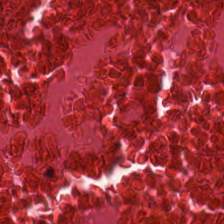H&E-stained tissue section — Histology → debris.
